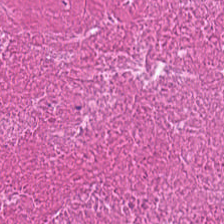Whole-slide-image patch. 224×224 pixel tile. Hematoxylin-and-eosin stained section.
Necrotic debris.
